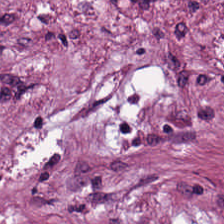H&E-stained tissue section. {"tissue_type": "cancer-associated stroma"}
